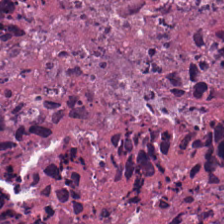H&E stain · FFPE tissue section. Tissue — debris.
